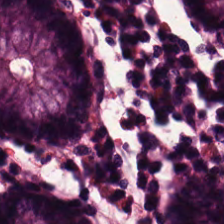Hematoxylin and eosin. FFPE. 0.5 µm/px. Predominantly benign colonic mucosa.
